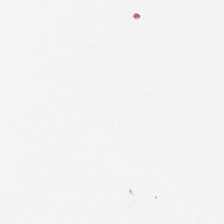H&E; 0.5 microns per pixel.
Background (no tissue).
